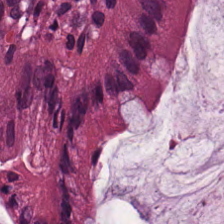Hematoxylin-and-eosin stained section. Normal colon mucosa.
